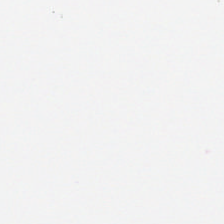H&E stain; 224×224 px patch. {"content": "background (no tissue)"}
